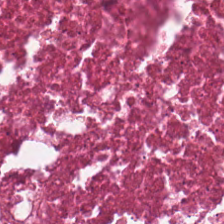Stain: hematoxylin and eosin.
Resolution: 0.5 microns per pixel.
Tissue: cellular debris.
